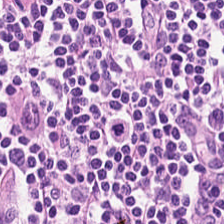Whole-slide-image patch · H&E.
Tissue type: lymphocytes.
